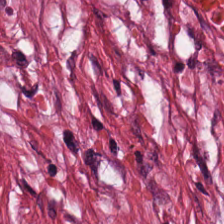Q: Identify the tissue.
A: Tumor stroma.
